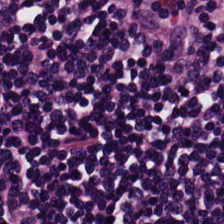H&E-stained tissue section; whole-slide-image patch.
{"tissue_type": "lymphocytic infiltrate"}
